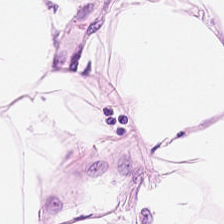20× equivalent magnification; hematoxylin and eosin.
Impression — adipose.
